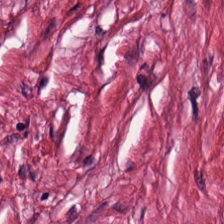H&E stain · FFPE. Q: Classify this patch.
A: This is desmoplastic stroma.
